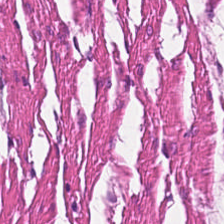Stain: H&E.
Tissue class: smooth-muscle tissue.
